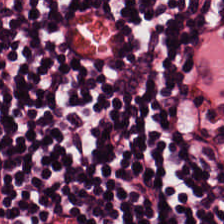Hematoxylin and eosin. Predominantly lymphoid infiltrate.
